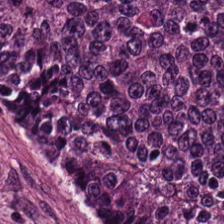224×224 px tile; H&E.
The predominant tissue is tumor epithelium.
